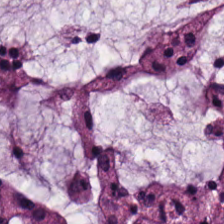Stain: hematoxylin-and-eosin stained section.
Classification: extracellular mucin.
